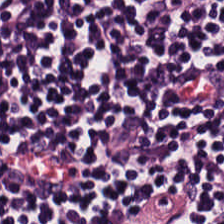0.5 µm/px; hematoxylin and eosin. This patch shows lymphoid infiltrate.
